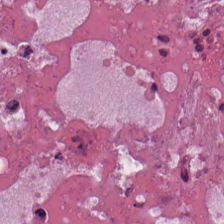H&E; WSI patch. Tissue: debris.
